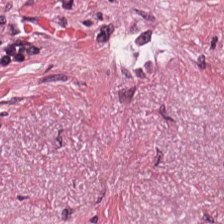FFPE tissue section · hematoxylin and eosin · 0.5 microns per pixel.
This patch shows tumor-associated stroma.
